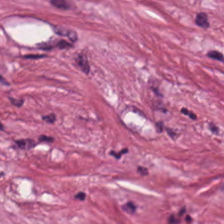H&E.
{"tissue_type": "tumor stroma"}
